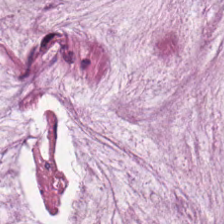Hematoxylin-and-eosin stained section. Finding → extracellular mucin.
